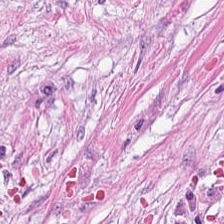H&E stain.
Q: What tissue is shown?
A: It is cancer-associated stroma.
